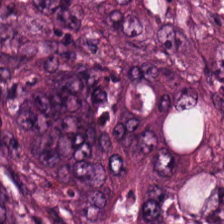Hematoxylin and eosin. Predominantly adenocarcinoma.
